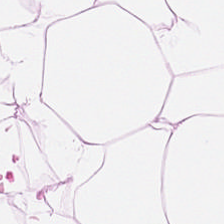H&E-stained tissue section · FFPE.
Tissue: fat tissue.
